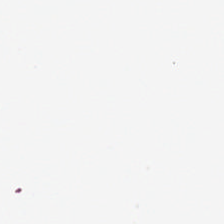Content: no tissue.
